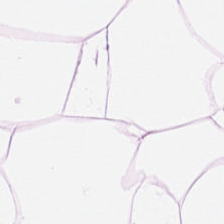0.5 µm per pixel; brightfield; hematoxylin and eosin. The tissue here is adipocytes.
